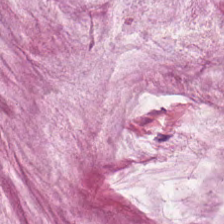FFPE. H&E-stained tissue section.
Predominantly extracellular mucin.
